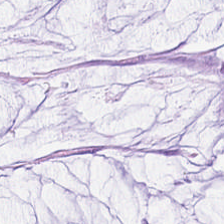224×224 pixel tile. 0.5 microns per pixel. H&E. Q: What tissue type is shown here?
A: The field shows mucin.
